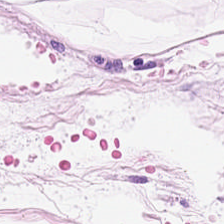20× equivalent magnification; H&E stain.
The classification is adipocytes.
